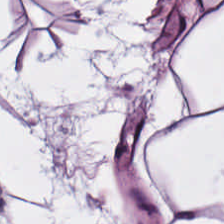Showing fat tissue.
